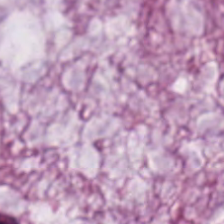H&E. Mucus.
